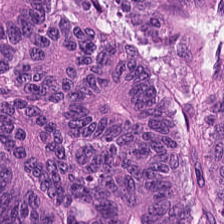This field is colorectal adenocarcinoma.
